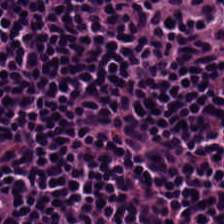H&E stain; 224×224 pixel tile; FFPE. This patch shows lymphocytes.
